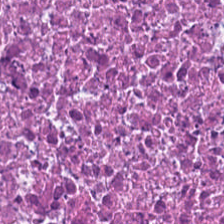Stain: hematoxylin-and-eosin stained section.
Preparation: FFPE.
Classification: debris.
